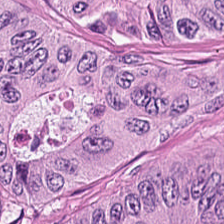H&E-stained tissue section.
Showing malignant epithelium.
